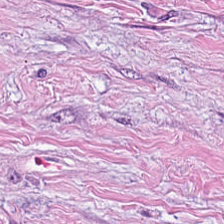Stain: hematoxylin-and-eosin stained section.
Tissue type: tumor-associated stroma.
